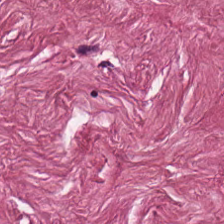Stain: hematoxylin-and-eosin stained section.
Tissue: tumor-associated stroma.
